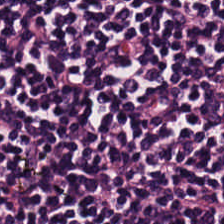H&E · 0.5 µm per pixel · whole-slide-image patch. Predominantly lymphoid infiltrate.
